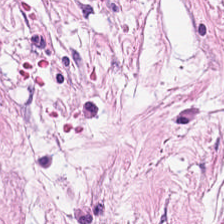H&E-stained tissue section — This field is cancer-associated stroma.
